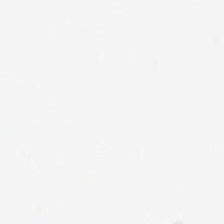No tissue present; background only.
